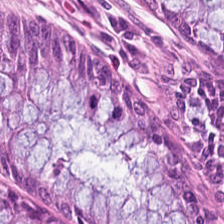H&E stain — {"tissue_type": "normal colon mucosa"}
